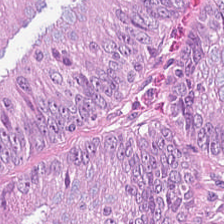Malignant epithelium.
